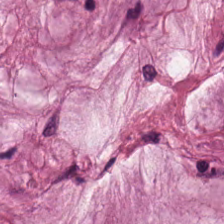Histology → mucus.
